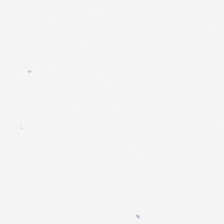Hematoxylin-and-eosin stained section.
Histology → background.
